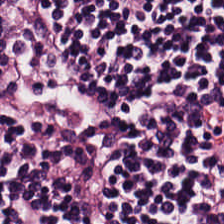H&E-stained tissue section.
Lymphocyte aggregate.
